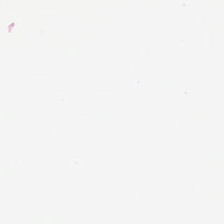Hematoxylin and eosin — Q: Classify this patch.
A: No tissue.
